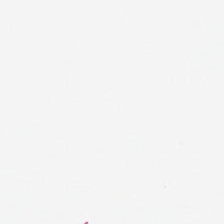Hematoxylin and eosin.
Content = background (no tissue).
